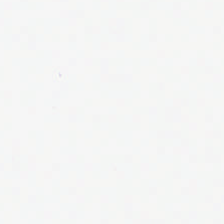Hematoxylin-and-eosin stained section — No tissue.
